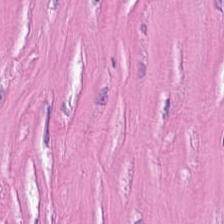Brightfield. Hematoxylin and eosin — This patch shows tumor stroma.
